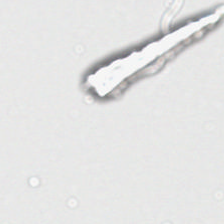0.5 µm per pixel · H&E stain. Background (no tissue).
